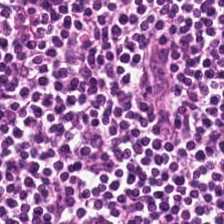Hematoxylin and eosin. Predominantly lymphocytic infiltrate.
